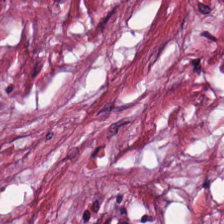H&E. FFPE. Tissue = tumor-associated stroma.
